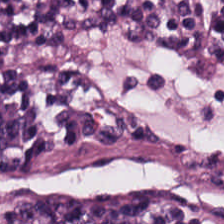H&E-stained tissue section — Showing lymphoid infiltrate.
